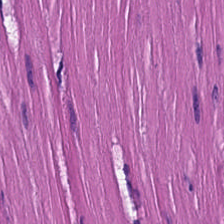Hematoxylin and eosin.
The tissue here is muscularis.
